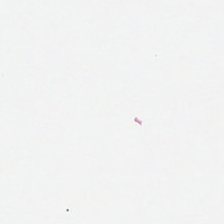H&E-stained tissue section; formalin-fixed paraffin-embedded section. Q: What is shown in this field?
A: The field shows empty background.
